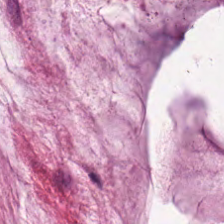Brightfield. Hematoxylin-and-eosin stained section. Predominantly mucus.
